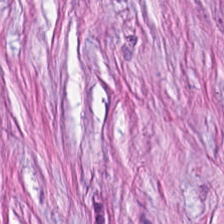Hematoxylin and eosin. 224×224 pixel tile. FFPE.
Tissue type = tumor stroma.
